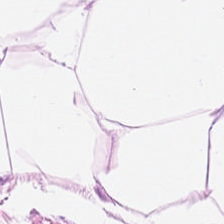H&E-stained tissue section — Showing adipocytes.
